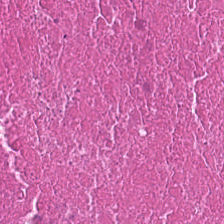Q: What does this patch show?
A: Debris.
